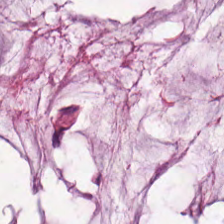FFPE tissue section · H&E stain · 224×224 pixel tile. Showing mucus.
